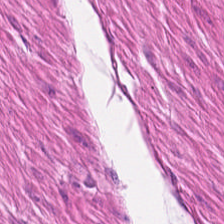Hematoxylin and eosin.
This patch shows smooth-muscle tissue.
